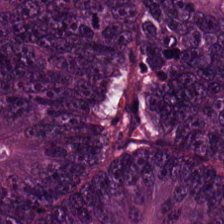224×224 px tile · hematoxylin and eosin · whole-slide-image patch.
Showing tumor epithelium.
